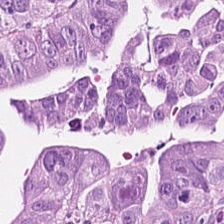FFPE tissue section. 224×224 px patch. Hematoxylin-and-eosin stained section. This field is malignant epithelium.
